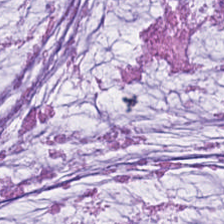H&E · 0.5 microns per pixel — Tissue type — mucus.
